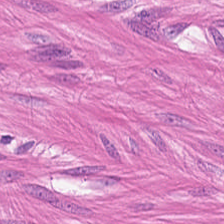{"tissue_type": "smooth-muscle tissue"}
